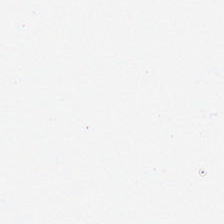H&E.
{"content": "no tissue"}
